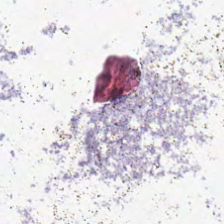Background.
